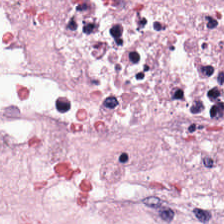Q: What type of tissue is this?
A: The field shows tumor-associated stroma.
